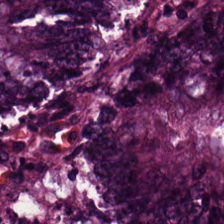224×224 px tile; H&E stain — Q: What is shown here?
A: Adenocarcinoma.
